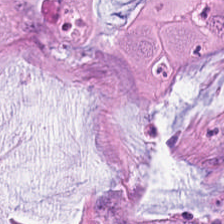H&E stain; brightfield — The tissue type is mucus.
